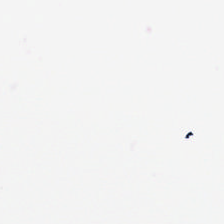H&E stain. Impression — background.
